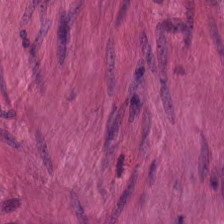H&E-stained tissue section — Impression — smooth muscle.
